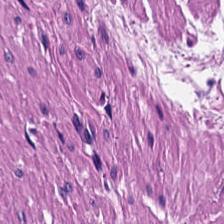Q: What tissue type is shown here?
A: Smooth muscle.
